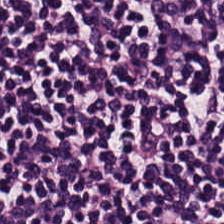H&E-stained tissue section. Classification: lymphocytic infiltrate.
